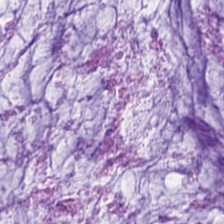Q: What tissue is shown?
A: The field shows mucin.
